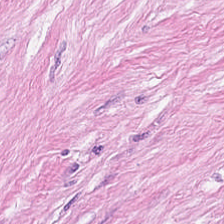20× equivalent magnification · hematoxylin and eosin. Q: What is shown in this field?
A: Cancer-associated stroma.
